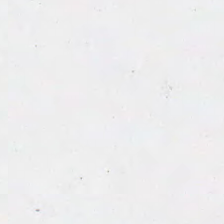FFPE; hematoxylin and eosin — Field content — background (no tissue).
